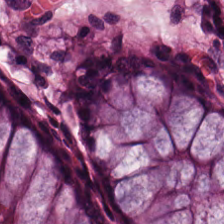H&E stain — The tissue here is benign colonic mucosa.
